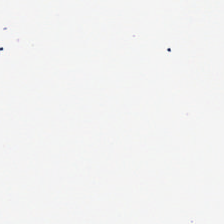H&E-stained tissue section.
Q: Classify this patch.
A: This is background (no tissue).
